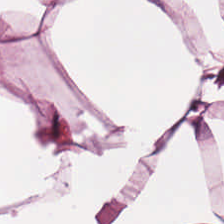Hematoxylin and eosin; formalin-fixed paraffin-embedded section.
This field is adipose tissue.
